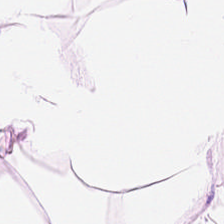H&E — This field is adipose tissue.
